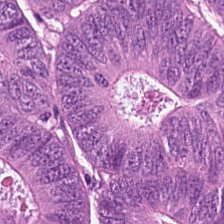FFPE; hematoxylin and eosin. Tissue = tumor epithelium.
